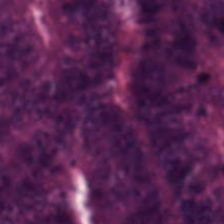Predominant tissue = colorectal adenocarcinoma epithelium.
